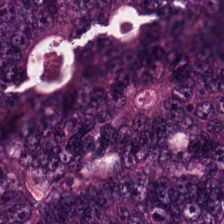Hematoxylin-and-eosin stained section. Finding → tumor epithelium.
